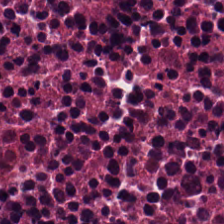H&E-stained tissue section — This field is necrotic debris.
